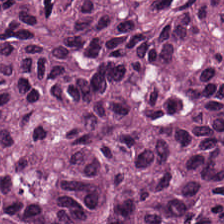Brightfield microscopy · hematoxylin-and-eosin stained section · formalin-fixed paraffin-embedded section. The tissue type is tumor epithelium.
